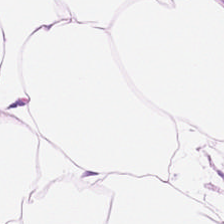H&E · 0.5 microns per pixel — The classification is fat tissue.
